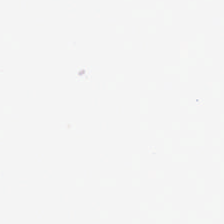224×224 px patch; H&E — Content = background (no tissue).
